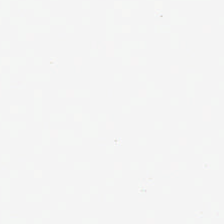H&E stain — Finding — no tissue.
